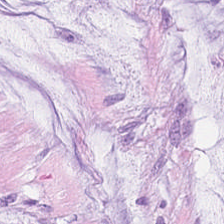0.5 µm per pixel. H&E-stained tissue section. 224×224 px patch — Q: What tissue type is shown here?
A: It is mucus.
